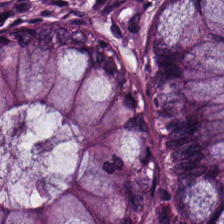Hematoxylin and eosin.
Impression → non-neoplastic colon mucosa.
